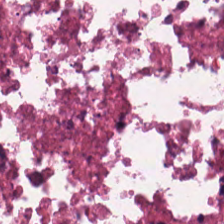H&E — The predominant tissue is necrotic debris.
